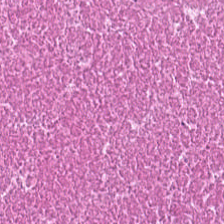Q: What is shown here?
A: This is debris.
